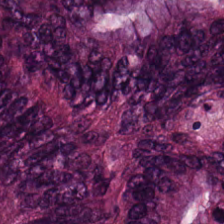Formalin-fixed paraffin-embedded section; H&E — Finding → malignant epithelium.
